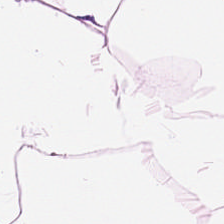Hematoxylin and eosin. Q: Identify the tissue.
A: The field shows fat tissue.
